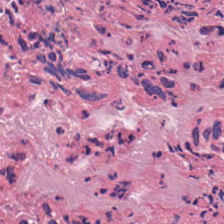0.5 µm per pixel; H&E — The classification is cellular debris.
